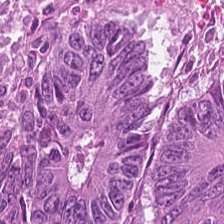H&E · brightfield. Tissue: tumor epithelium.
